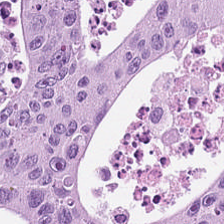H&E-stained tissue section. 0.5 µm per pixel.
Tissue class = tumor epithelium.
